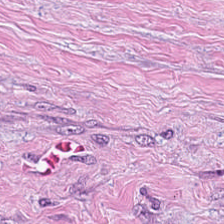{"tissue_type": "desmoplastic stroma"}
